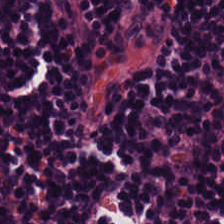Q: Classify this patch.
A: The field shows lymphocytes.
